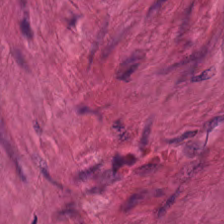Stain: hematoxylin and eosin.
Tissue type: smooth-muscle tissue.
